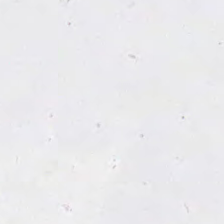Finding — no tissue.
